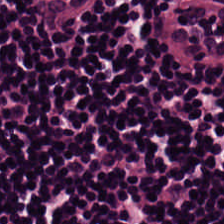H&E-stained tissue section · whole-slide-image patch · 20× equivalent magnification — The tissue here is lymphocyte aggregate.
